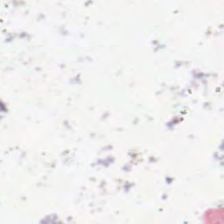H&E stain — Q: What is shown here?
A: The field shows background (no tissue).
